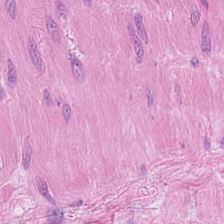20× equivalent magnification; 224×224 pixel tile; H&E — Classification: muscularis.
